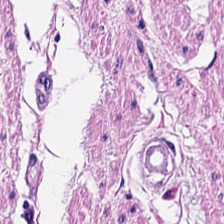H&E. Brightfield microscopy — The tissue type is smooth muscle.
